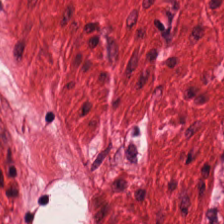Stain: hematoxylin and eosin.
Tissue class: muscularis.
